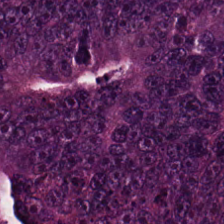H&E; 0.5 µm/px. Q: What tissue type is shown here?
A: It is colorectal adenocarcinoma.
